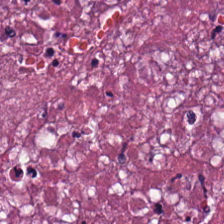Hematoxylin-and-eosin stained section. Predominantly necrotic debris.
